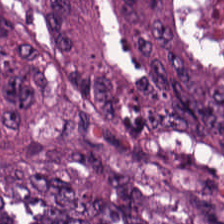Hematoxylin-and-eosin stained section. Whole-slide-image patch — This field is tumor epithelium.
